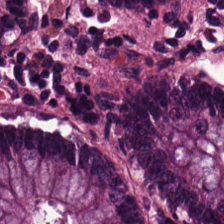{"tissue_type": "non-neoplastic colon mucosa"}
